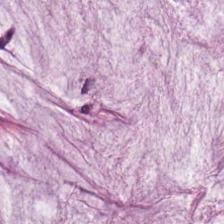Hematoxylin-and-eosin stained section.
The predominant tissue is mucin.
